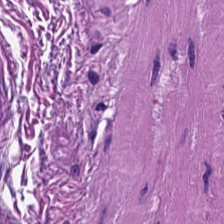Classification — muscularis.
